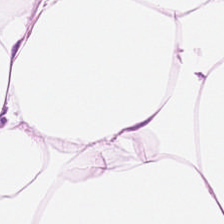H&E-stained tissue section; FFPE tissue section.
Tissue class = fat tissue.
